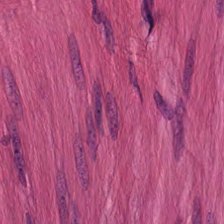224×224 px tile; H&E-stained tissue section; formalin-fixed paraffin-embedded section. Smooth-muscle tissue.
